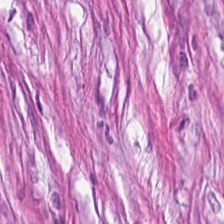H&E.
This patch shows desmoplastic stroma.
